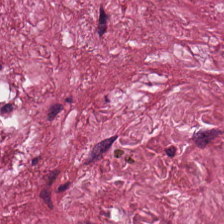Q: What tissue is shown?
A: The field shows tumor stroma.
